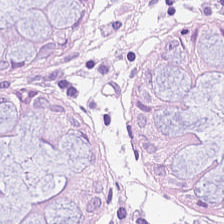Tissue = normal colonic mucosa.
